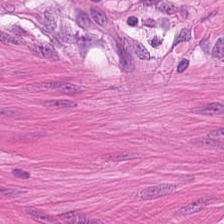Whole-slide-image patch. Hematoxylin-and-eosin stained section.
Showing smooth-muscle tissue.
